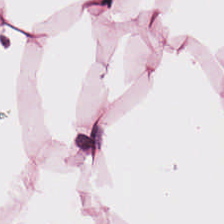Hematoxylin and eosin — The tissue type is adipocytes.
